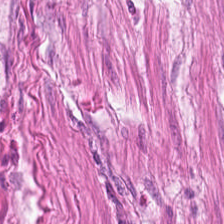Q: Classify this patch.
A: It is muscularis.
